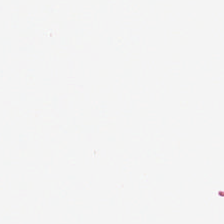Field content — empty background.
